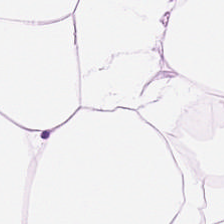This field is adipose tissue.
